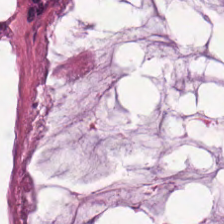Stain: H&E-stained tissue section.
Acquisition: WSI patch.
Tissue type: mucin.
